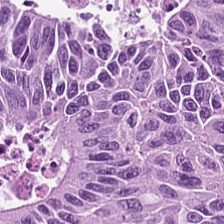Q: What is the predominant tissue type?
A: The field shows malignant epithelium.
